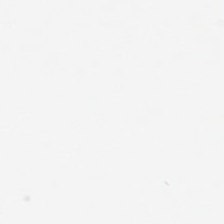H&E · brightfield · 0.5 µm/px. Q: Classify this patch.
A: The field shows background (no tissue).
